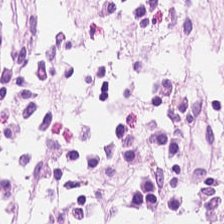Tissue = benign colonic mucosa.
